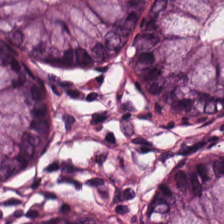0.5 µm/px; hematoxylin and eosin.
The classification is non-neoplastic colon mucosa.
